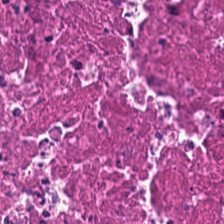Hematoxylin and eosin. Cellular debris.
